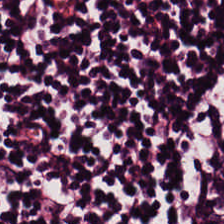Hematoxylin-and-eosin stained section. The tissue here is lymphocytes.
